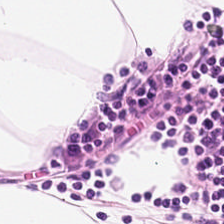H&E. {"tissue_type": "fat tissue"}
